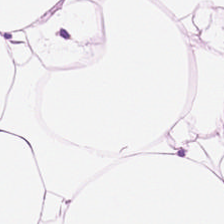Hematoxylin and eosin; FFPE tissue section.
The tissue type is adipose tissue.
